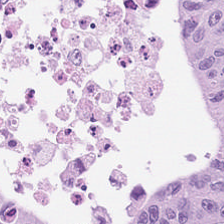Brightfield; hematoxylin and eosin.
Q: What tissue type is shown here?
A: The field shows tumor epithelium.
